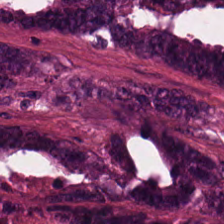0.5 microns per pixel; 224×224 pixel tile; hematoxylin and eosin.
Q: What tissue is shown?
A: It is colorectal adenocarcinoma epithelium.
